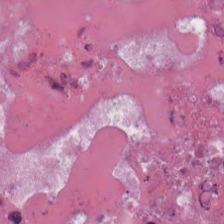H&E stain.
Q: Identify the tissue.
A: It is debris.
